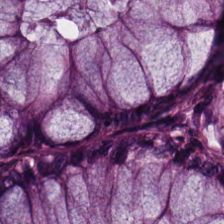Hematoxylin and eosin — This patch shows normal colonic mucosa.
